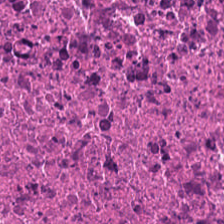Stain: H&E-stained tissue section.
Tissue class: debris.
